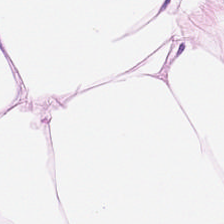H&E — fat tissue.
